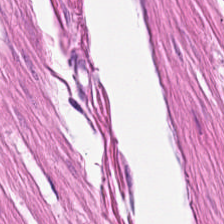Brightfield microscopy; H&E-stained tissue section.
Impression → smooth muscle.
